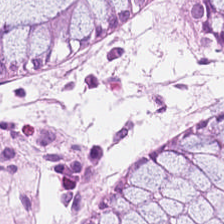Q: What type of tissue is this?
A: It is normal colon mucosa.
